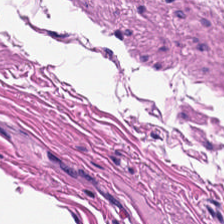H&E stain; 20× equivalent magnification.
Smooth-muscle tissue.
